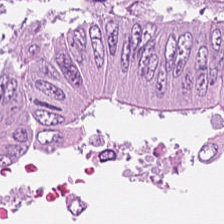H&E-stained section; the field shows tumor epithelium.
